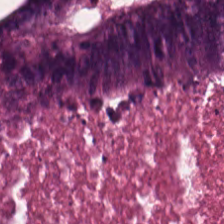Stain: hematoxylin-and-eosin stained section.
Predominant tissue: necrotic debris.
